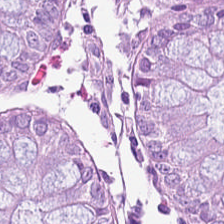Predominantly non-neoplastic colon mucosa.
